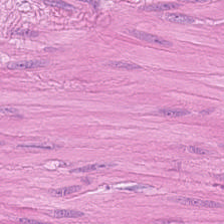0.5 microns per pixel; hematoxylin and eosin.
Tissue type — muscularis.
